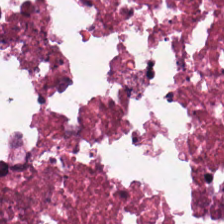Hematoxylin and eosin — Q: What type of tissue is this?
A: The field shows debris.
